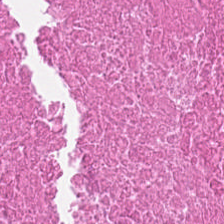Hematoxylin and eosin — Q: What tissue is shown?
A: The field shows debris.
